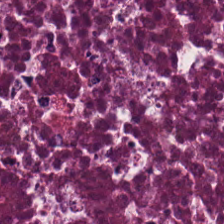H&E. Q: What is shown here?
A: It is debris.
